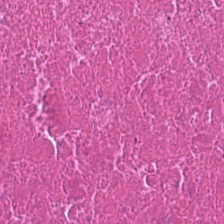H&E stain.
This field is necrotic debris.
